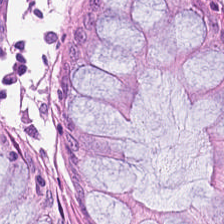H&E · 224×224 pixel tile · 20× equivalent magnification. Non-neoplastic colon mucosa.
